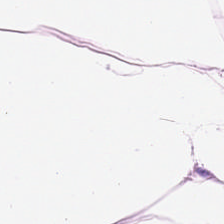Hematoxylin-and-eosin stained section — Showing adipose tissue.
